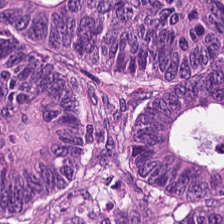Tissue type = malignant epithelium.
